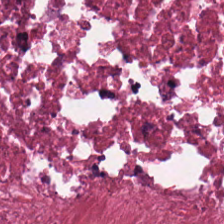H&E stain — Q: What tissue is shown?
A: This is debris.
